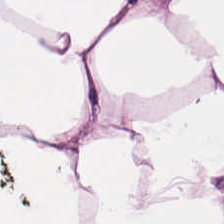H&E. This field is adipose.
